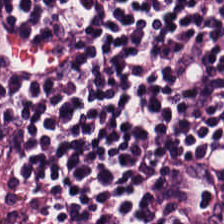H&E-stained tissue section — Showing lymphoid infiltrate.
